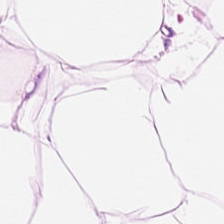H&E stain.
Impression → fat tissue.
